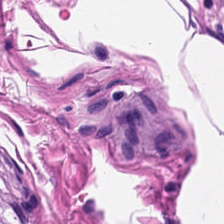0.5 µm per pixel; H&E-stained tissue section; 224×224 px patch — Q: What is the predominant tissue type?
A: Smooth muscle.
